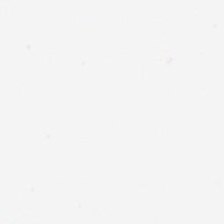224×224 px patch; brightfield microscopy; hematoxylin-and-eosin stained section — Background (no tissue).
